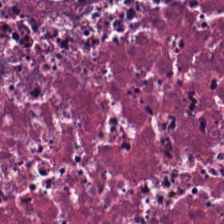Brightfield microscopy · FFPE tissue section · H&E-stained tissue section. Predominantly debris.
